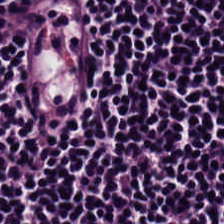Hematoxylin and eosin — Tissue class: lymphoid infiltrate.
